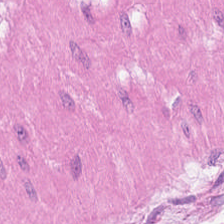H&E stain — The predominant tissue is muscularis.
